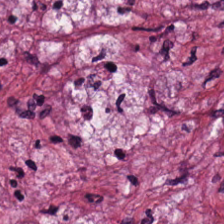224×224 px tile; H&E stain. The predominant tissue is cancer-associated stroma.
